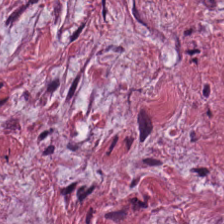H&E-stained tissue section.
This patch shows cancer-associated stroma.
